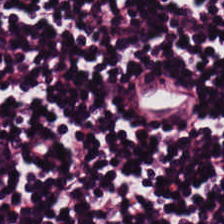The tissue type is lymphocytic infiltrate.
